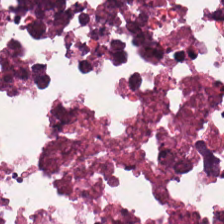Formalin-fixed paraffin-embedded section; 224×224 pixel tile; H&E. Tissue — cellular debris.
